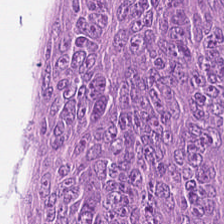Stain: hematoxylin and eosin.
Resolution: 0.5 microns per pixel.
Tissue type: colorectal adenocarcinoma.
